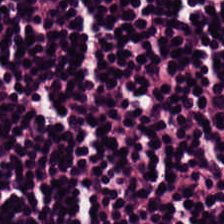H&E. This patch shows lymphoid infiltrate.
